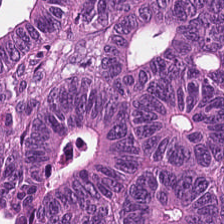Q: What is the predominant tissue type?
A: It is colorectal adenocarcinoma epithelium.
